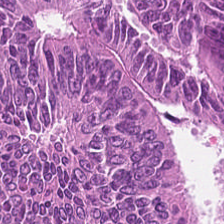Hematoxylin-and-eosin stained section · 0.5 µm per pixel · whole-slide-image patch. Tissue type — malignant epithelium.
